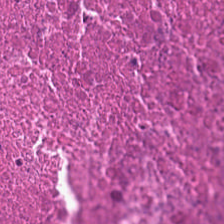Hematoxylin and eosin · formalin-fixed paraffin-embedded section · brightfield microscopy — Q: Identify the tissue.
A: The field shows necrotic debris.
